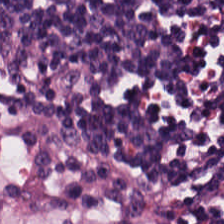Predominantly lymphoid infiltrate.
